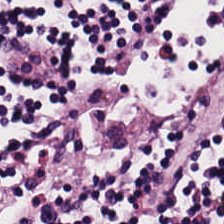Tissue type: lymphocytes.
